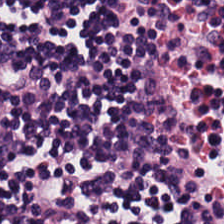Formalin-fixed paraffin-embedded section; H&E stain — Histology → lymphocyte aggregate.
